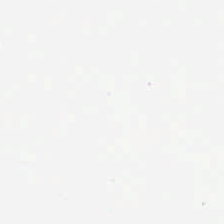H&E stain. Formalin-fixed paraffin-embedded section — No tissue present; background only.
